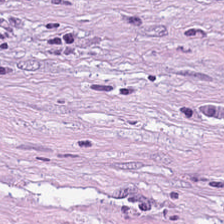H&E stain — Tissue type = tumor-associated stroma.
